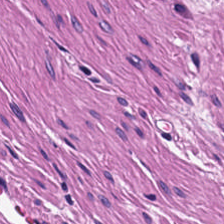Whole-slide-image patch. 0.5 microns per pixel. H&E-stained tissue section — Muscularis.
